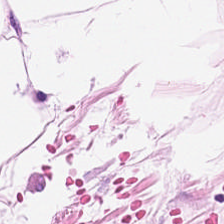H&E; brightfield microscopy.
Predominant tissue: adipose.
